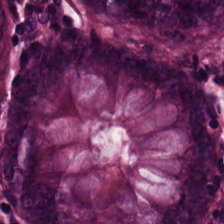H&E stain; 0.5 µm/px; whole-slide-image patch.
This patch shows normal colonic mucosa.
